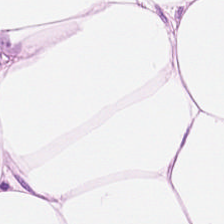H&E — The predominant tissue is adipocytes.
